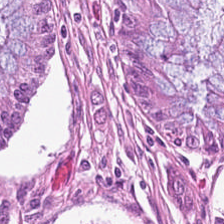224×224 pixel tile · H&E · formalin-fixed paraffin-embedded section — This patch shows benign colonic mucosa.
